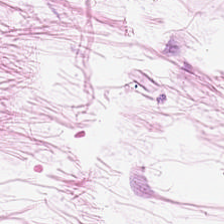Hematoxylin-and-eosin stained section. Showing adipose tissue.
